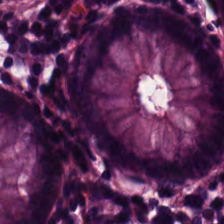Hematoxylin and eosin — Predominant tissue — normal colonic mucosa.
